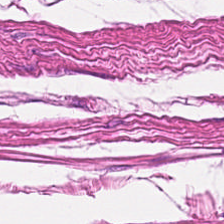H&E stain. FFPE tissue section.
Smooth-muscle tissue.
